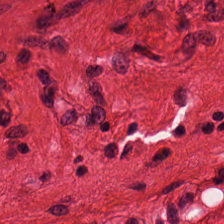Histology — muscularis.
